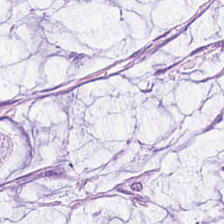Q: What does this patch show?
A: The field shows mucus.
